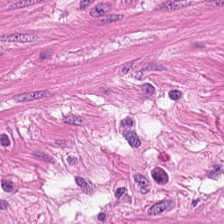H&E-stained tissue section; whole-slide-image patch.
Tissue: smooth-muscle tissue.
